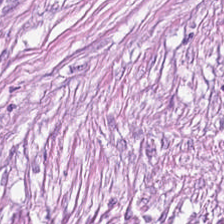Stain: hematoxylin-and-eosin stained section.
Predominant tissue: cancer-associated stroma.
